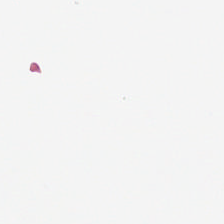H&E-stained tissue section.
No tissue.
